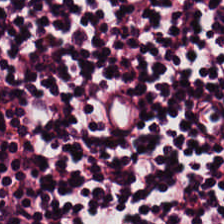H&E stain · 224×224 pixel tile.
Q: What is shown here?
A: It is lymphoid infiltrate.
